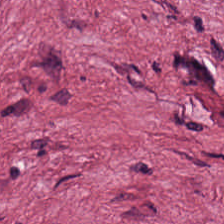Q: What is the predominant tissue type?
A: Tumor stroma.
